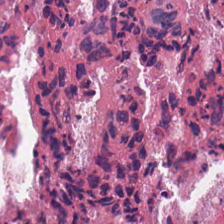20× equivalent magnification. Whole-slide-image patch. Hematoxylin and eosin.
Tissue class — debris.
